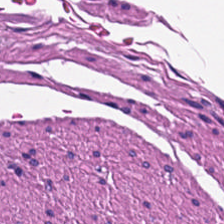Classification — muscularis.
